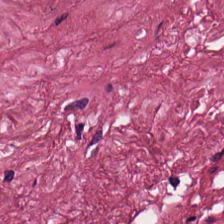Stain: H&E stain.
Tissue: desmoplastic stroma.
